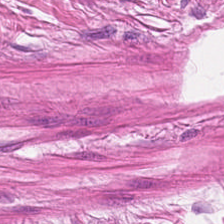Hematoxylin-and-eosin stained section; 224×224 px tile. Predominantly smooth muscle.
